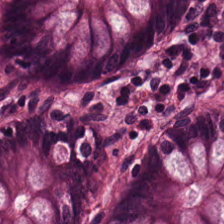H&E · FFPE. {"tissue_type": "normal colonic mucosa"}
